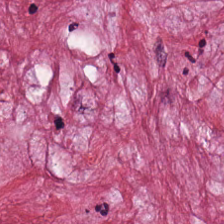Brightfield · H&E stain.
The tissue here is cancer-associated stroma.
